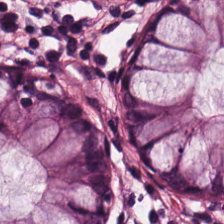Brightfield microscopy. H&E stain. Classification — non-neoplastic colon mucosa.
